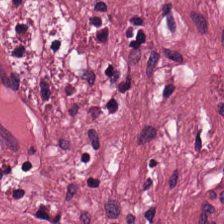Q: What does this patch show?
A: This is cancer-associated stroma.
